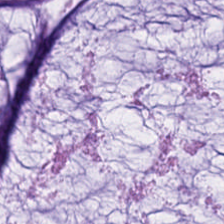The predominant tissue is mucin.
